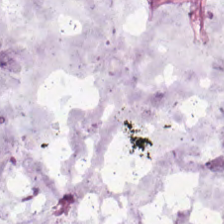Hematoxylin-and-eosin stained section.
Predominant tissue: mucin.
